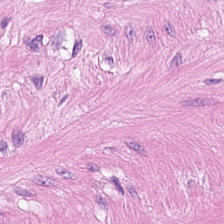0.5 µm/px · hematoxylin and eosin. Predominantly muscularis.
